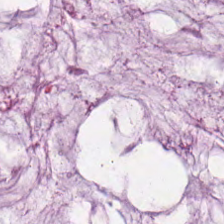Hematoxylin-and-eosin stained section.
Mucus.
